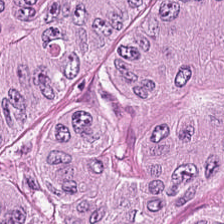224×224 px patch · 0.5 µm per pixel · H&E stain.
{"tissue_type": "colorectal adenocarcinoma"}
